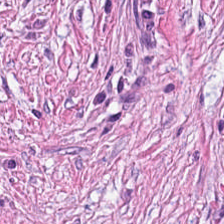Q: What tissue type is shown here?
A: It is tumor-associated stroma.
